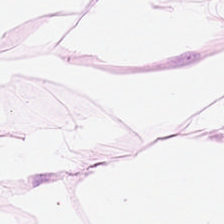224×224 px patch; H&E. Impression — adipose.
